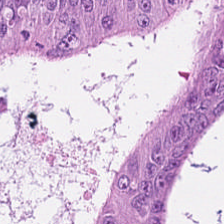The predominant tissue is colorectal adenocarcinoma epithelium.
